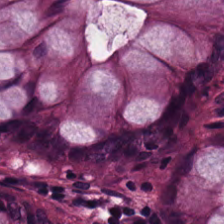WSI patch. H&E — Predominant tissue — normal colonic mucosa.
